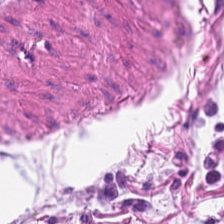Formalin-fixed paraffin-embedded section · H&E. Q: What does this patch show?
A: Smooth muscle.
